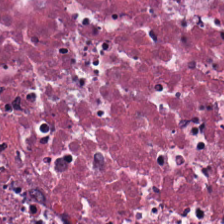Necrotic debris.
